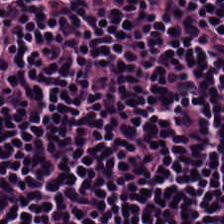Impression — lymphocytic infiltrate.
